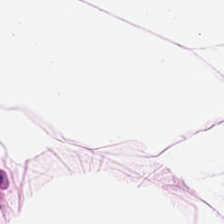H&E — The tissue class is adipose tissue.
